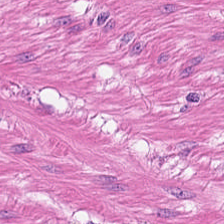Hematoxylin and eosin. 0.5 µm/px — Finding → smooth-muscle tissue.
